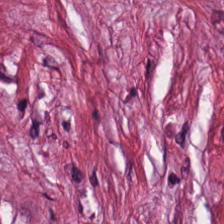0.5 microns per pixel; hematoxylin and eosin; 224×224 pixel tile — Q: What tissue type is shown here?
A: The field shows cancer-associated stroma.
